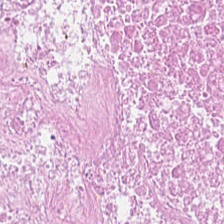Hematoxylin and eosin. 0.5 µm/px — Q: What tissue type is shown here?
A: The field shows cellular debris.
